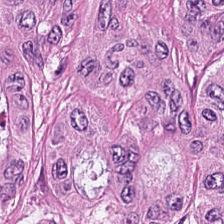H&E.
Tissue = tumor epithelium.
